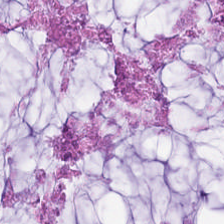H&E · WSI patch · FFPE tissue section — Q: What type of tissue is this?
A: The field shows mucin.
